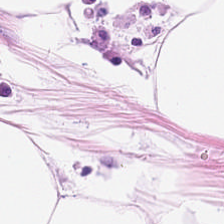FFPE tissue section; H&E-stained tissue section; WSI patch — The classification is adipose tissue.
